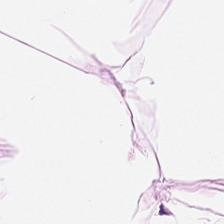Hematoxylin-and-eosin stained section; FFPE. Adipocytes.
